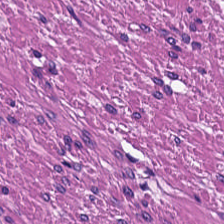Hematoxylin-and-eosin stained section. This patch shows smooth-muscle tissue.
